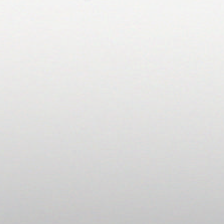H&E-stained tissue section. Background — no tissue in this field.
